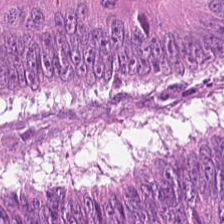H&E-stained tissue section.
Q: What type of tissue is this?
A: It is colorectal adenocarcinoma.
